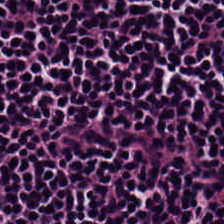224×224 px tile; brightfield; H&E — Classification — lymphocytic infiltrate.
